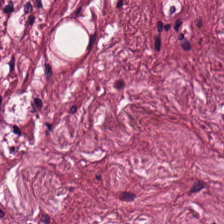H&E-stained tissue section.
Q: What is shown in this field?
A: It is cancer-associated stroma.
